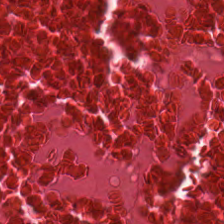H&E-stained tissue section. Q: What is shown here?
A: The field shows necrotic debris.
